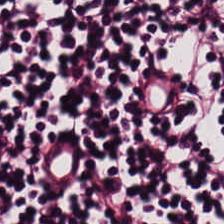224×224 pixel tile. 0.5 microns per pixel. Hematoxylin and eosin.
This field is lymphocytes.
